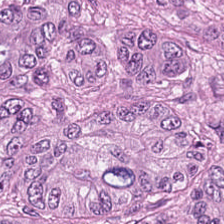Q: What tissue type is shown here?
A: This is adenocarcinoma.
